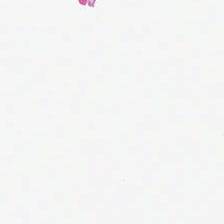H&E stain. {"content": "empty background"}
